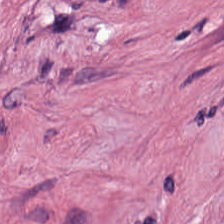Stain: H&E.
Predominant tissue: cancer-associated stroma.
